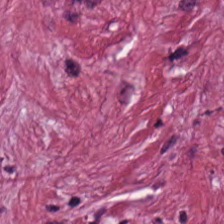0.5 µm/px. Hematoxylin-and-eosin stained section — Tumor stroma.
